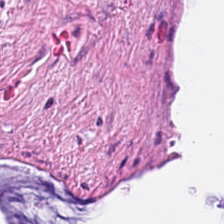Q: What is shown here?
A: It is extracellular mucin.
